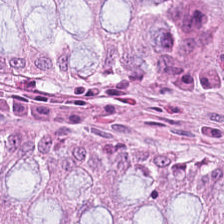Stain: H&E stain.
Resolution: 0.5 microns per pixel.
Tile size: 224×224 px patch.
Tissue: benign colonic mucosa.
